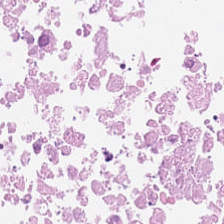H&E-stained tissue section; 0.5 µm per pixel — This field is debris.
